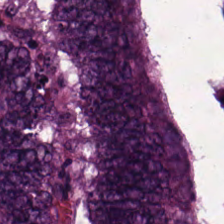Hematoxylin-and-eosin stained section. FFPE tissue section.
Histology → colorectal adenocarcinoma epithelium.
